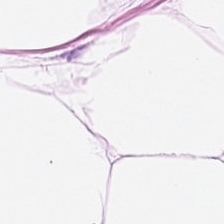Formalin-fixed paraffin-embedded section; H&E. The tissue here is adipocytes.
